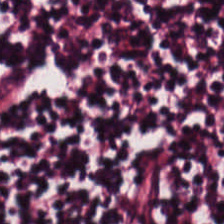H&E stain — Q: What is shown in this field?
A: It is lymphocytes.
